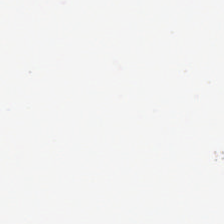No tissue present; background only.
